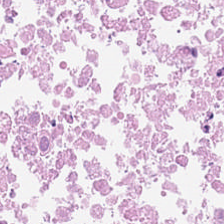224×224 pixel tile; WSI patch; H&E stain — Tissue — debris.
